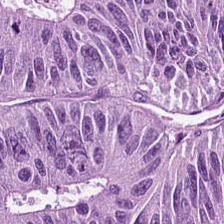H&E — Tissue type = tumor epithelium.
